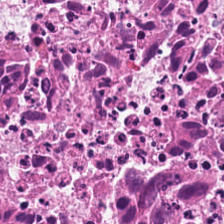224×224 pixel tile · H&E stain · whole-slide-image patch — Impression → cellular debris.
